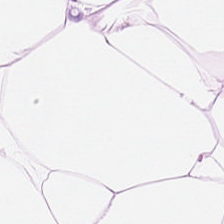Formalin-fixed paraffin-embedded section; H&E stain.
Tissue: adipose tissue.
